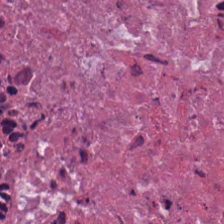Stain: H&E.
Resolution: 20× equivalent magnification.
Tissue class: cellular debris.
